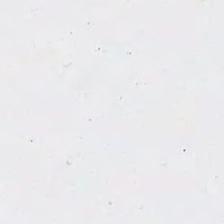0.5 µm per pixel. H&E stain. Brightfield microscopy. Classification = empty background.
